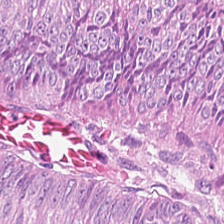Hematoxylin and eosin. {"tissue_type": "adenocarcinoma"}
